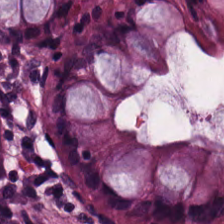H&E stain; formalin-fixed paraffin-embedded section; 0.5 microns per pixel.
This patch shows benign colonic mucosa.
